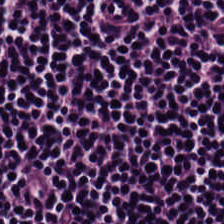H&E stain. Predominant tissue: lymphocytic infiltrate.
